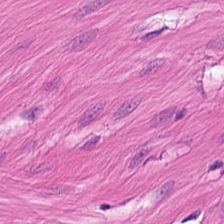Hematoxylin-and-eosin stained section.
Histology → smooth muscle.
